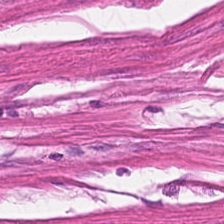Hematoxylin and eosin — This patch shows smooth-muscle tissue.
